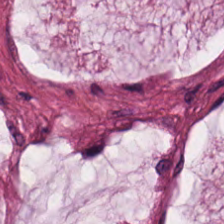H&E stain — Predominantly mucus.
